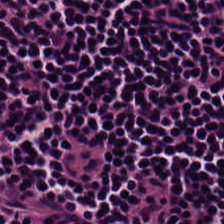FFPE. 20× equivalent magnification. H&E stain. The tissue class is lymphoid infiltrate.
